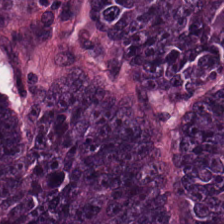Q: Classify this patch.
A: Malignant epithelium.
